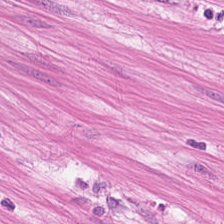H&E — Showing smooth-muscle tissue.
